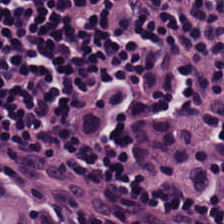WSI patch; H&E stain.
Classification: lymphocytic infiltrate.
